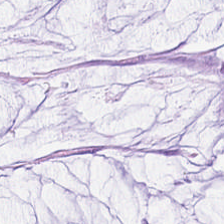Stain: H&E-stained tissue section.
Tissue class: extracellular mucin.
